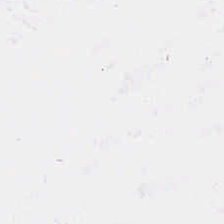The classification is background.
